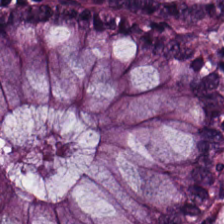This field is non-neoplastic colon mucosa.
